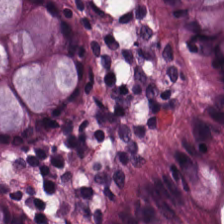0.5 µm/px; H&E-stained tissue section.
Q: What tissue is shown?
A: It is normal colon mucosa.
